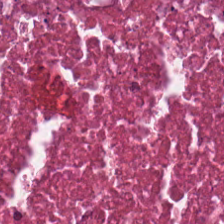This field is necrotic debris.
